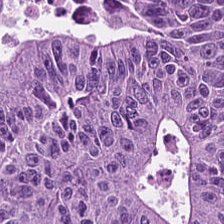Hematoxylin and eosin. Q: What is the predominant tissue type?
A: The field shows adenocarcinoma.
